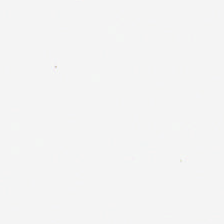H&E stain. Empty field — no tissue.
